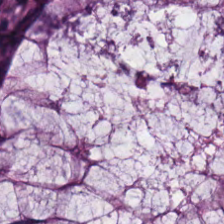Stain: hematoxylin and eosin.
Resolution: 0.5 microns per pixel.
Predominant tissue: normal colon mucosa.
